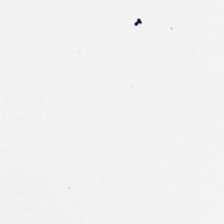Stain: H&E stain.
Preparation: formalin-fixed paraffin-embedded section.
Field content: no tissue.
